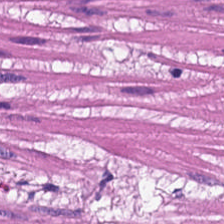Brightfield microscopy. Hematoxylin-and-eosin stained section. Q: What is shown in this field?
A: Smooth muscle.
